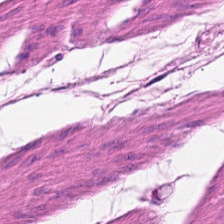Hematoxylin-and-eosin stained section. The tissue is muscularis.
